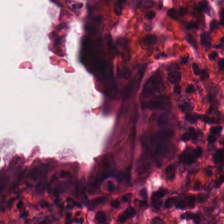Showing benign colonic mucosa.
